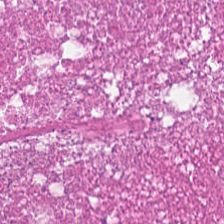Hematoxylin and eosin. Showing debris.
